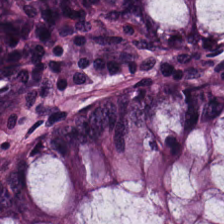Stain: H&E stain.
Acquisition: brightfield microscopy.
Classification: normal colon mucosa.
